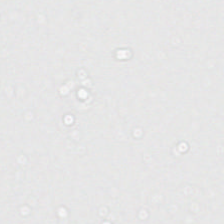Stain: hematoxylin-and-eosin stained section.
Tile size: 224×224 px tile.
Preparation: FFPE.
Classification: empty background.
